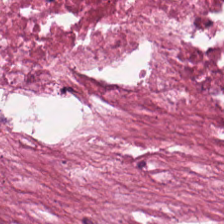The tissue here is debris.
